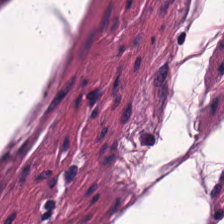Hematoxylin-and-eosin stained section · 20× equivalent magnification.
Q: What is the predominant tissue type?
A: Smooth-muscle tissue.
